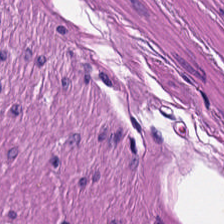0.5 µm per pixel · H&E-stained tissue section.
This field is smooth muscle.
